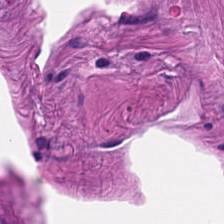Hematoxylin and eosin; 20× equivalent magnification — Predominant tissue — muscularis.
